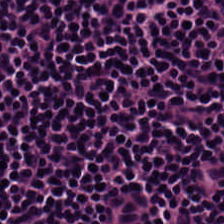20× equivalent magnification. H&E. Classification = lymphocyte aggregate.
